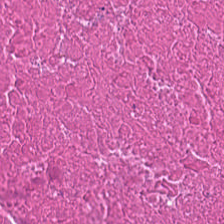224×224 px patch. H&E-stained tissue section. This field is cellular debris.
